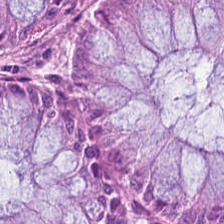Hematoxylin and eosin · FFPE. This field is benign colonic mucosa.
